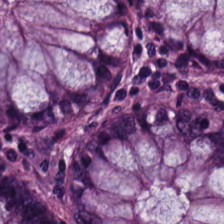Normal colon mucosa.
